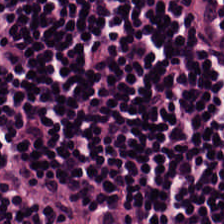Hematoxylin and eosin. 0.5 microns per pixel — Q: What is shown here?
A: Lymphocyte aggregate.
